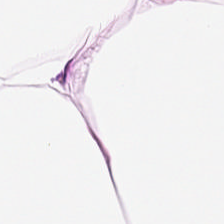Stain: hematoxylin-and-eosin stained section.
Classification: adipose.
